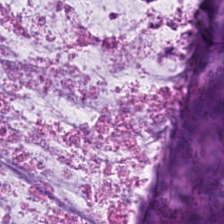Q: What is shown in this field?
A: Extracellular mucin.
